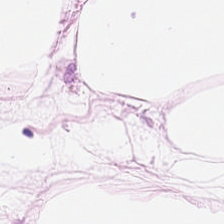Tissue: adipose tissue.
